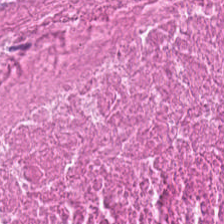Hematoxylin and eosin — The predominant tissue is necrotic debris.
